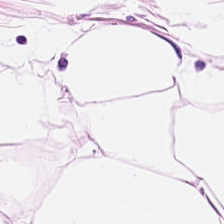H&E-stained tissue section. This patch shows adipose.
